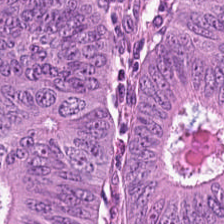H&E stain. This field is malignant epithelium.
